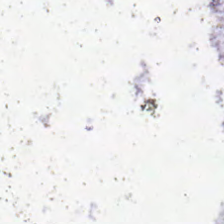H&E-stained tissue section · whole-slide-image patch — Field content: empty background.
